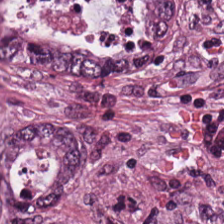224×224 pixel tile; WSI patch; H&E-stained tissue section.
Predominantly adenocarcinoma.
